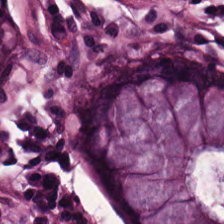Hematoxylin and eosin — Classification = non-neoplastic colon mucosa.
